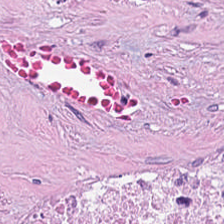Cellular debris.
